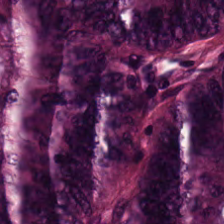H&E-stained tissue section.
Showing malignant epithelium.
